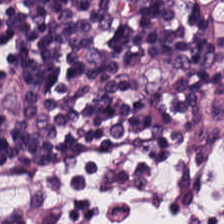H&E stain · 224×224 px tile. Showing lymphocytes.
